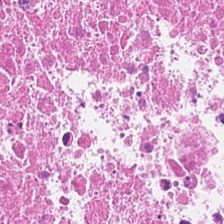H&E — Predominantly debris.
